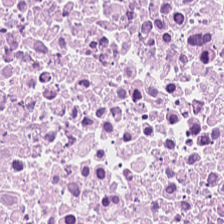0.5 microns per pixel; FFPE; H&E-stained tissue section — The predominant tissue is cellular debris.
